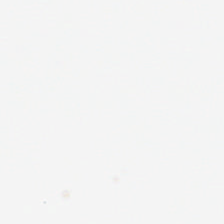Hematoxylin and eosin. This field is background (no tissue).
